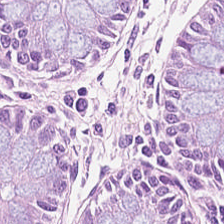224×224 px patch · H&E-stained tissue section. The tissue is non-neoplastic colon mucosa.
